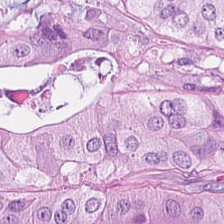H&E-stained tissue section. This patch shows colorectal adenocarcinoma epithelium.
